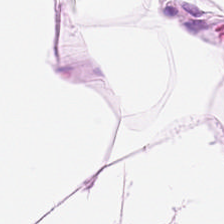The predominant tissue is adipose.
